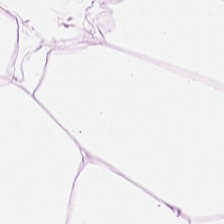The classification is fat tissue.
